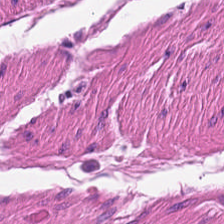H&E-stained tissue section. {"tissue_type": "muscularis"}
